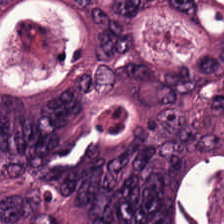Predominantly malignant epithelium.
